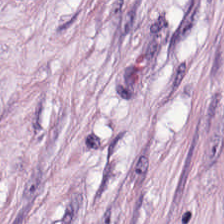H&E — Showing tumor stroma.
